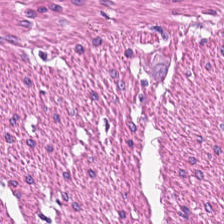H&E stain. Q: What does this patch show?
A: It is muscularis.
